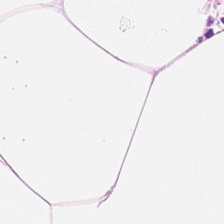H&E. Tissue class — adipose.
